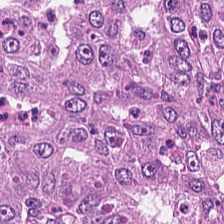{"tissue_type": "colorectal adenocarcinoma epithelium"}
